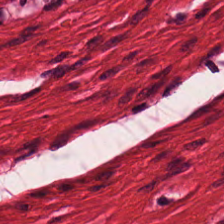0.5 µm per pixel. H&E stain. Tissue class = muscularis.
